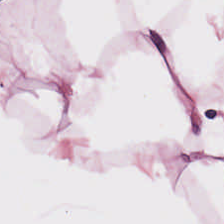H&E-stained tissue section. 224×224 px patch. Q: What is shown in this field?
A: This is adipocytes.
